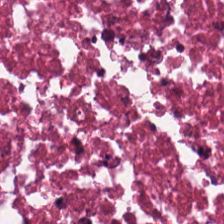Whole-slide-image patch; H&E — Tissue: necrotic debris.
